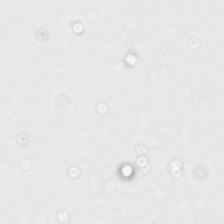H&E. Content — background (no tissue).
